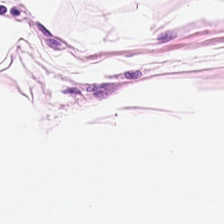Hematoxylin and eosin · whole-slide-image patch. Tissue = adipose tissue.
